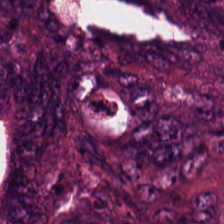Stain: hematoxylin and eosin.
Acquisition: whole-slide-image patch.
Preparation: FFPE.
Tissue: adenocarcinoma.
